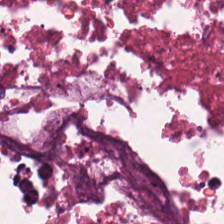H&E-stained tissue section. Impression — necrotic debris.
